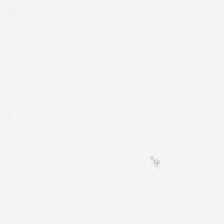Histology — no tissue.
